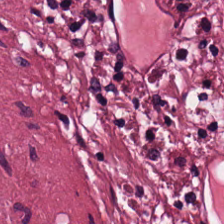H&E.
The predominant tissue is tumor stroma.
